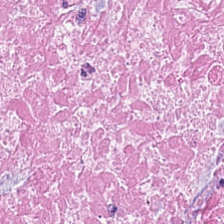Hematoxylin and eosin. The predominant tissue is debris.
